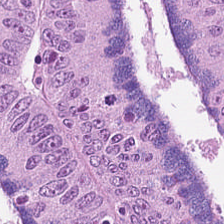Predominant tissue = adenocarcinoma.
